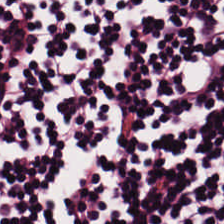Tissue = lymphocytes.
